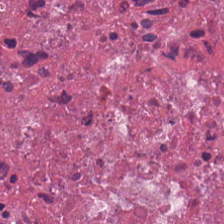Tissue class — debris.
